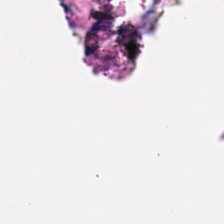H&E · 20× equivalent magnification. Background — no tissue in this field.
